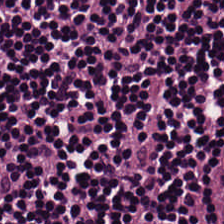Brightfield microscopy · H&E-stained tissue section.
This patch shows lymphocyte aggregate.
